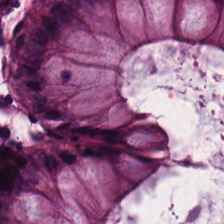H&E-stained tissue section. Tissue — non-neoplastic colon mucosa.
